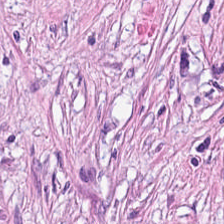H&E stain · 0.5 microns per pixel · whole-slide-image patch.
Impression → tumor-associated stroma.
